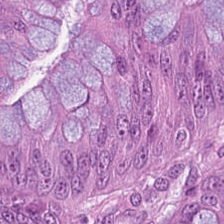Hematoxylin and eosin; 0.5 µm/px — This patch shows colorectal adenocarcinoma epithelium.
